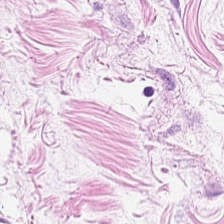H&E stain.
Showing fat tissue.
